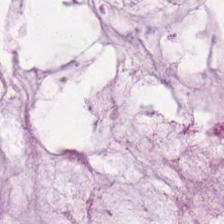Stain: H&E-stained tissue section.
Tissue class: mucin.
